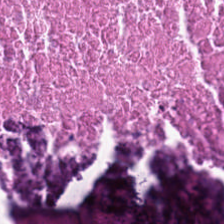H&E.
Predominant tissue — necrotic debris.
